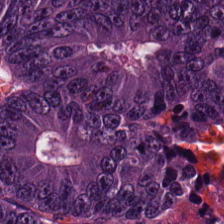H&E stain. 224×224 px patch. This field is tumor epithelium.
